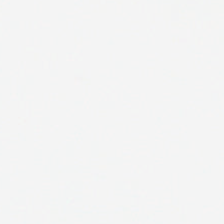20× equivalent magnification · hematoxylin and eosin. Content — no tissue.
